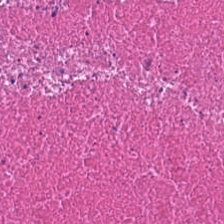H&E-stained tissue section. The predominant tissue is cellular debris.
